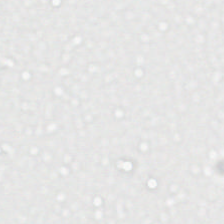H&E-stained tissue section. This patch shows no tissue.
